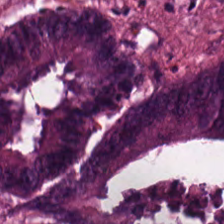0.5 µm per pixel · hematoxylin and eosin. Q: What tissue is shown?
A: This is tumor epithelium.
